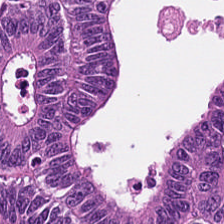Q: What is the predominant tissue type?
A: It is colorectal adenocarcinoma epithelium.
